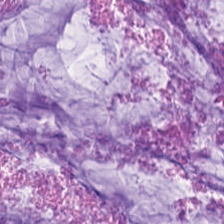H&E stain.
Tissue: mucin.
